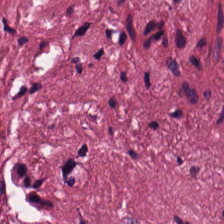Hematoxylin and eosin. This field is tumor-associated stroma.
